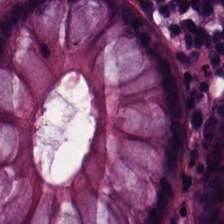H&E stain — Tissue type: benign colonic mucosa.
